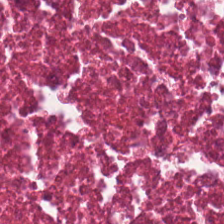0.5 µm per pixel · hematoxylin-and-eosin stained section. Necrotic debris.
